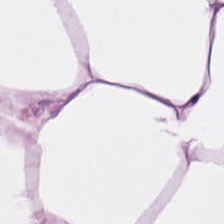This field is adipose tissue.
